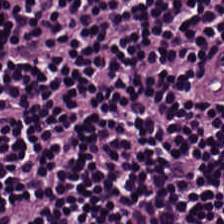Predominantly lymphocytic infiltrate.
